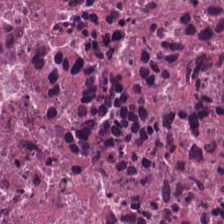Hematoxylin-and-eosin stained section. Tissue: cellular debris.
